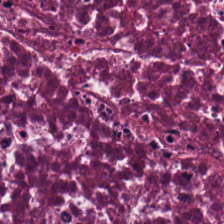Hematoxylin and eosin · 20× equivalent magnification — The predominant tissue is cellular debris.
